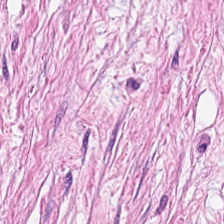Brightfield. Hematoxylin and eosin. Tissue = cancer-associated stroma.
